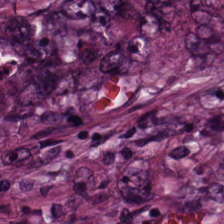224×224 px patch · hematoxylin-and-eosin stained section · whole-slide-image patch. This field is colorectal adenocarcinoma.
